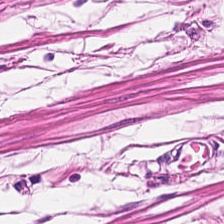Hematoxylin-and-eosin stained section — Impression → smooth muscle.
